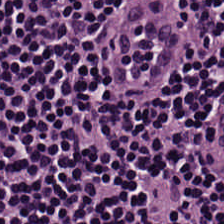The tissue here is lymphoid infiltrate.
